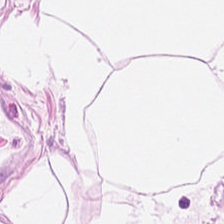Hematoxylin and eosin.
This patch shows adipose tissue.
